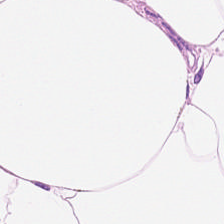H&E; 0.5 microns per pixel. {"tissue_type": "fat tissue"}
